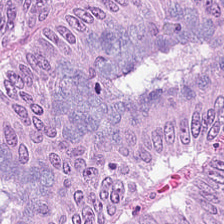224×224 px patch · hematoxylin-and-eosin stained section · WSI patch — The tissue is malignant epithelium.
